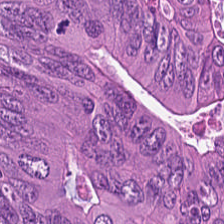The tissue is colorectal adenocarcinoma.
